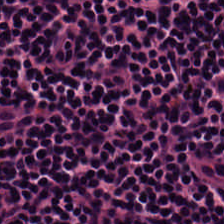Hematoxylin and eosin — Tissue type: lymphocytic infiltrate.
